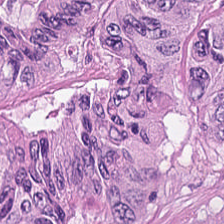Colorectal adenocarcinoma.
